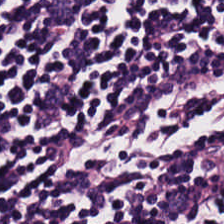H&E; brightfield microscopy; 224×224 px tile — Q: What is shown in this field?
A: This is lymphocytic infiltrate.
